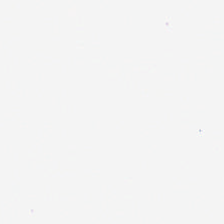H&E. FFPE — Background — no tissue in this field.
